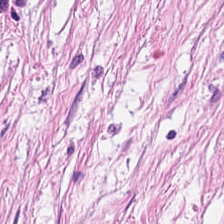Hematoxylin and eosin. This patch shows tumor-associated stroma.
